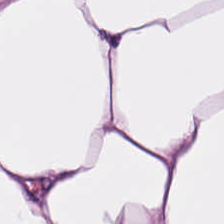Adipose.
